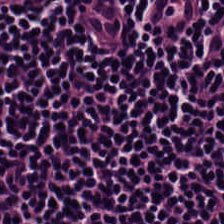Hematoxylin-and-eosin stained section — Q: What tissue type is shown here?
A: The field shows lymphoid infiltrate.
